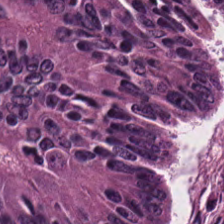Hematoxylin and eosin.
The tissue type is tumor epithelium.
